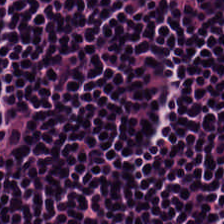Finding — lymphoid infiltrate.
